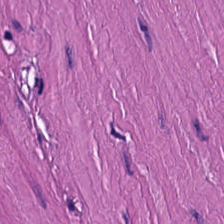H&E-stained tissue section; 224×224 pixel tile — Histology — smooth-muscle tissue.
